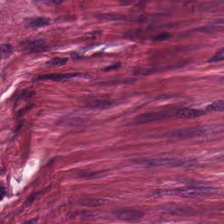H&E-stained section; the field shows tumor stroma.
